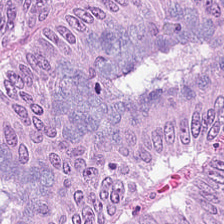H&E stain.
Finding — colorectal adenocarcinoma.
